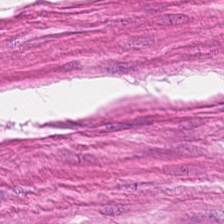Stain: hematoxylin-and-eosin stained section.
Tile size: 224×224 px patch.
Tissue: smooth-muscle tissue.
